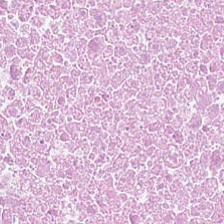FFPE · H&E stain.
{"tissue_type": "debris"}
